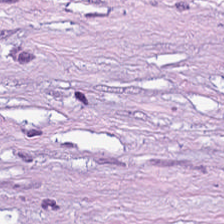Stain: H&E stain.
Resolution: 0.5 microns per pixel.
Tissue: tumor stroma.
